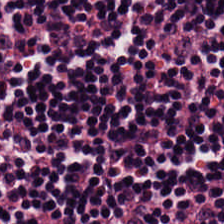Stain: H&E.
Tile size: 224×224 px patch.
Tissue type: lymphocytes.
